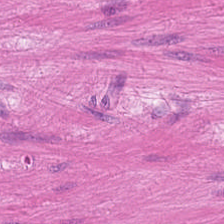H&E stain.
Finding — smooth muscle.
